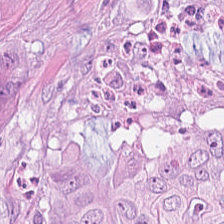Showing malignant epithelium.
